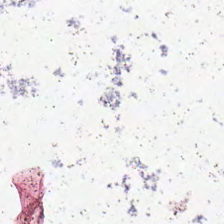224×224 px tile · hematoxylin and eosin · formalin-fixed paraffin-embedded section.
Q: Classify this patch.
A: It is empty background.
